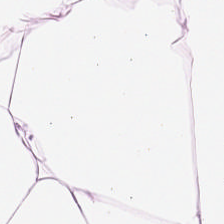H&E; 20× equivalent magnification; brightfield — Tissue = adipose tissue.
